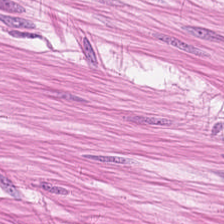Hematoxylin and eosin. 0.5 microns per pixel. This field is muscularis.
